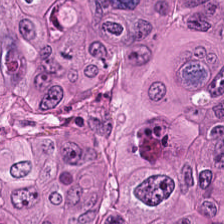0.5 µm/px; WSI patch; H&E stain. Tissue type: colorectal adenocarcinoma.
